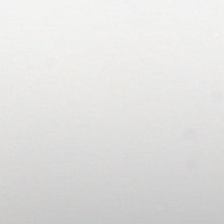H&E stain.
Classification: background (no tissue).
